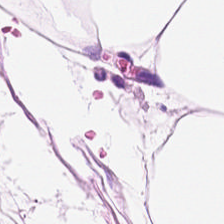H&E. Predominantly fat tissue.
